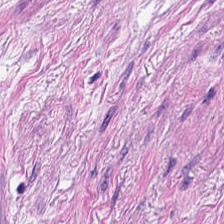Hematoxylin and eosin · FFPE — This field is smooth muscle.
